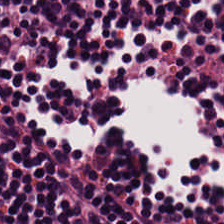H&E. Tissue class — lymphocyte aggregate.
